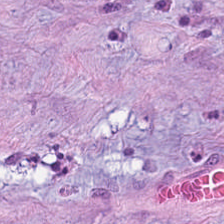Formalin-fixed paraffin-embedded section · hematoxylin-and-eosin stained section — Predominant tissue = desmoplastic stroma.
